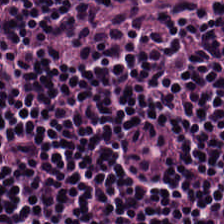WSI patch · hematoxylin-and-eosin stained section — This patch shows lymphoid infiltrate.
